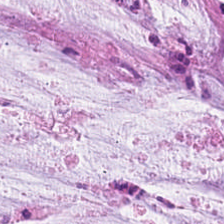Hematoxylin-and-eosin section: extracellular mucin.
